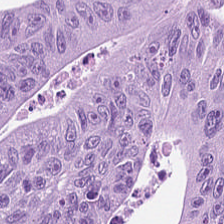Hematoxylin and eosin.
Tissue class: colorectal adenocarcinoma epithelium.
